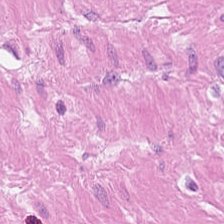Stain: hematoxylin and eosin.
Acquisition: whole-slide-image patch.
Resolution: 20× equivalent magnification.
Tissue type: smooth muscle.
